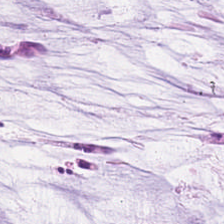H&E. {"tissue_type": "extracellular mucin"}
